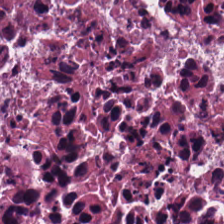Hematoxylin and eosin — Tissue type: debris.
